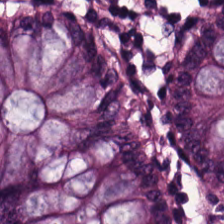H&E.
The predominant tissue is non-neoplastic colon mucosa.
